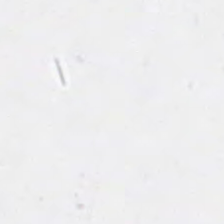Hematoxylin and eosin; 224×224 px patch.
The content is no tissue.
